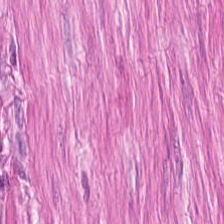H&E stain — Tissue: muscularis.
